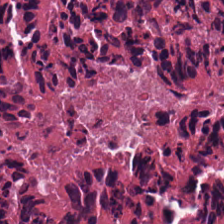H&E stain. Debris.
